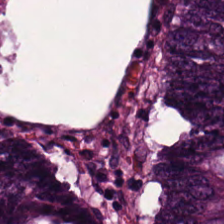Histology — adenocarcinoma.
